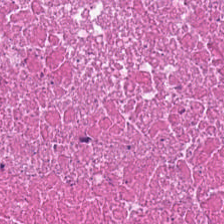20× equivalent magnification. 224×224 pixel tile. H&E stain.
Predominant tissue: necrotic debris.
